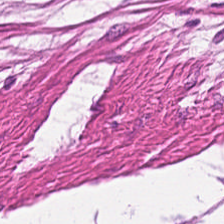H&E-stained section; the field shows muscularis.
